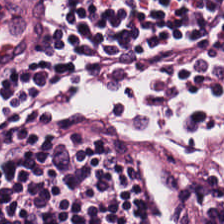224×224 px tile. H&E. Brightfield microscopy — Tissue — lymphocyte aggregate.
